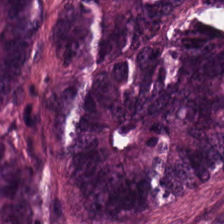FFPE; hematoxylin-and-eosin stained section — Q: What is shown in this field?
A: This is colorectal adenocarcinoma.
